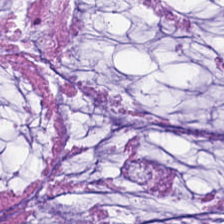FFPE. Hematoxylin and eosin. Classification — mucus.
